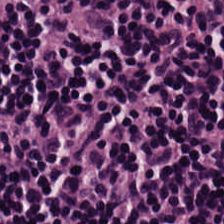H&E stain · FFPE tissue section · 0.5 microns per pixel. Lymphocytes.
